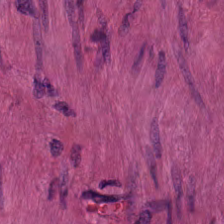Stain: hematoxylin and eosin.
Tissue class: muscularis.
